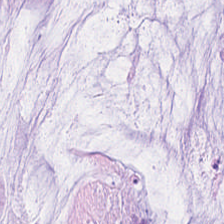H&E patch showing mucin.
